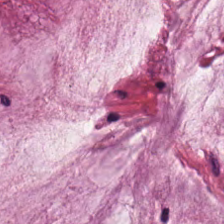FFPE; H&E stain — The predominant tissue is mucus.
